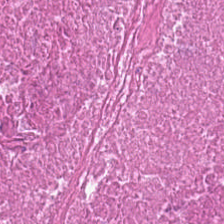Hematoxylin and eosin.
Predominant tissue = debris.
